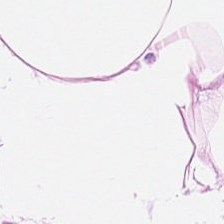This field is adipose tissue.
